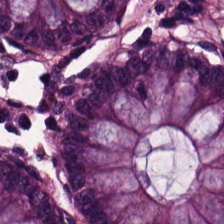H&E stain · formalin-fixed paraffin-embedded section. This patch shows non-neoplastic colon mucosa.
